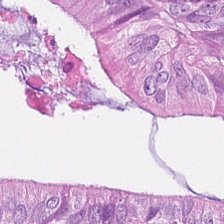The predominant tissue is colorectal adenocarcinoma.
